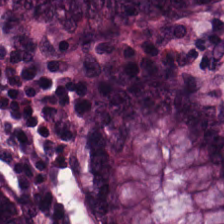20× equivalent magnification; hematoxylin and eosin — Tissue: normal colon mucosa.
